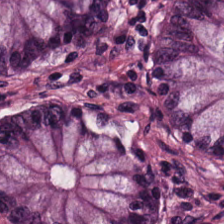H&E — Normal colon mucosa.
